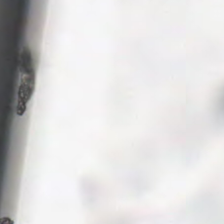H&E — Background — no tissue in this field.
